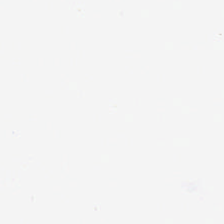H&E stain. 224×224 px tile. This patch shows empty background.
